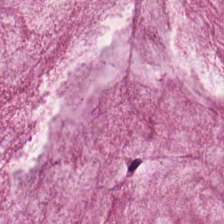H&E-stained tissue section.
Tissue class: mucin.
